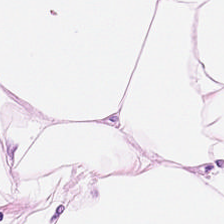H&E-stained tissue section — The tissue type is adipose.
